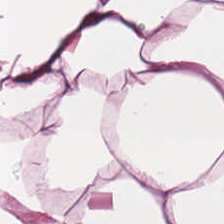224×224 px patch · hematoxylin and eosin · whole-slide-image patch.
Tissue class — adipocytes.
